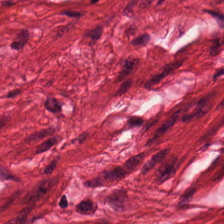Stain: hematoxylin-and-eosin stained section.
Resolution: 0.5 µm/px.
Tissue class: smooth muscle.
